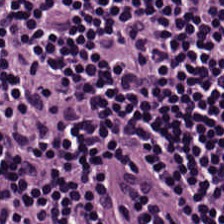Hematoxylin and eosin. The tissue here is lymphoid infiltrate.
